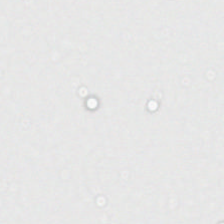Hematoxylin and eosin · brightfield microscopy. Histology → background (no tissue).
